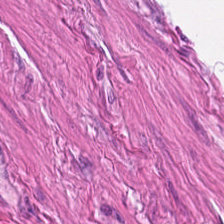Predominantly muscularis.
